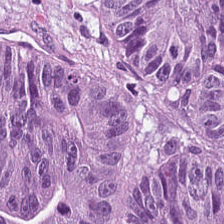Hematoxylin-and-eosin stained section; FFPE tissue section — Tissue: tumor epithelium.
